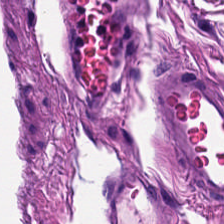Hematoxylin and eosin. This field is muscularis.
